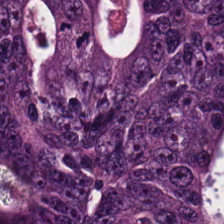H&E-stained tissue section.
Showing colorectal adenocarcinoma.
